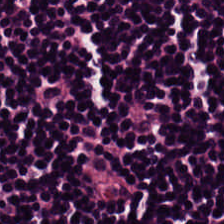H&E-stained tissue section · WSI patch — Showing lymphocytic infiltrate.
